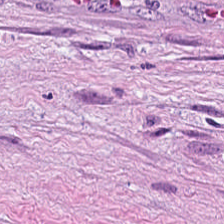Hematoxylin and eosin.
Q: Classify this patch.
A: This is tumor stroma.
